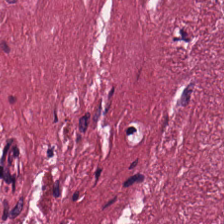H&E stain — This field is cancer-associated stroma.
